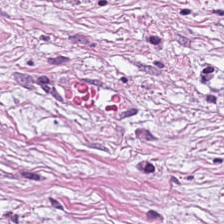Hematoxylin and eosin — Showing cancer-associated stroma.
